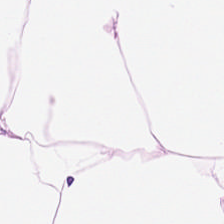H&E-stained tissue section.
{"tissue_type": "adipose tissue"}
